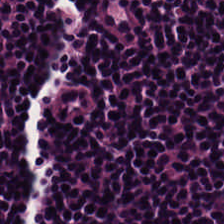Stain: hematoxylin and eosin.
Predominant tissue: lymphocytic infiltrate.
